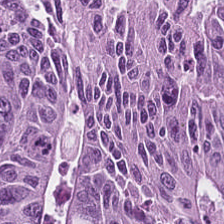Hematoxylin and eosin; FFPE.
Tumor epithelium.
